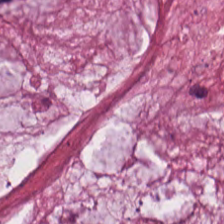H&E-stained tissue section — Tissue type — mucus.
